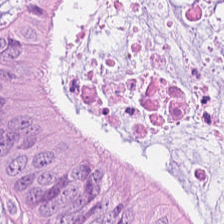H&E.
{"tissue_type": "adenocarcinoma"}
